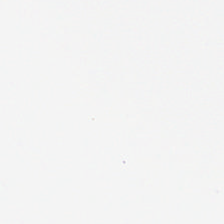Hematoxylin-and-eosin stained section.
This patch shows background (no tissue).
